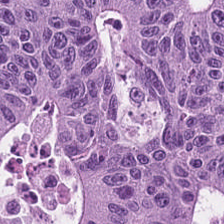Tissue class = tumor epithelium.
